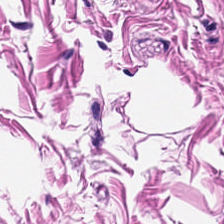Stain: hematoxylin-and-eosin stained section.
Resolution: 0.5 µm per pixel.
Tissue: smooth-muscle tissue.
